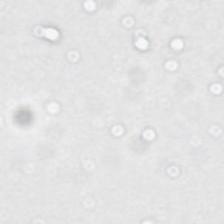Hematoxylin-and-eosin stained section. 224×224 px tile.
Classification = no tissue.
